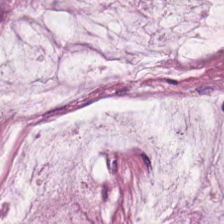H&E stain · 224×224 px tile — Predominant tissue = mucin.
